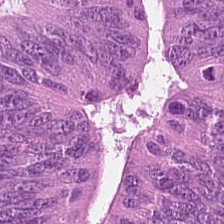H&E-stained section; the field shows malignant epithelium.
